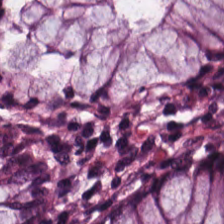Stain: hematoxylin-and-eosin stained section.
Predominant tissue: normal colonic mucosa.
